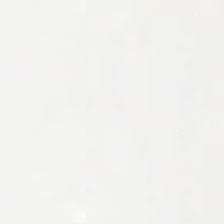The field content is background.
